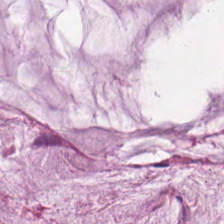Stain: H&E.
Preparation: FFPE.
Classification: mucin.
